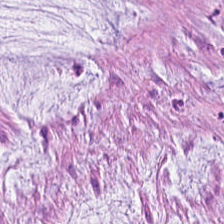FFPE tissue section. Whole-slide-image patch. H&E stain.
Predominant tissue: mucus.
